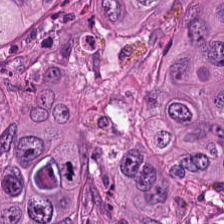H&E stain · FFPE tissue section · brightfield.
Tissue type: malignant epithelium.
